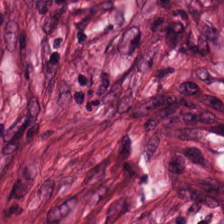Formalin-fixed paraffin-embedded section; hematoxylin-and-eosin stained section.
This field is tumor stroma.
